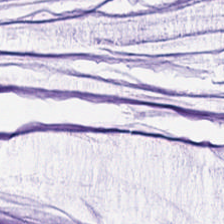H&E-stained tissue section showing extracellular mucin.
